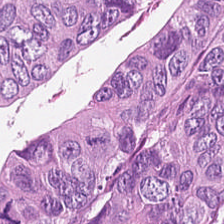H&E-stained tissue section showing colorectal adenocarcinoma epithelium.
